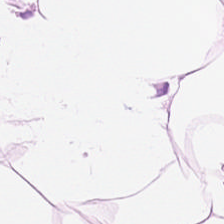Classification: fat tissue.
